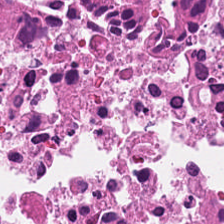Hematoxylin and eosin · 224×224 px tile. Showing necrotic debris.
